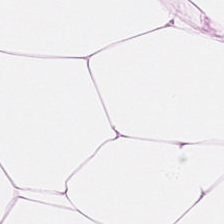Q: What tissue type is shown here?
A: The field shows adipose tissue.
